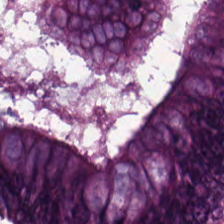Q: What is shown here?
A: Malignant epithelium.
